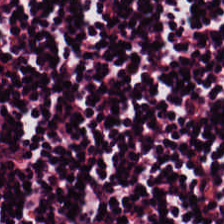H&E — lymphoid infiltrate.
